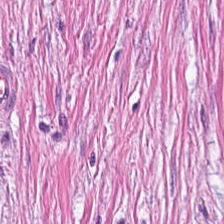H&E.
Classification = cancer-associated stroma.
